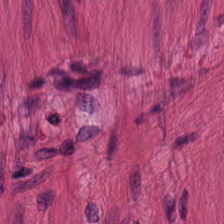Hematoxylin-and-eosin section: muscularis.
